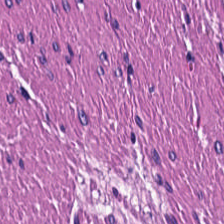H&E · brightfield.
Showing smooth muscle.
